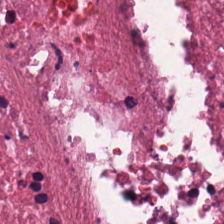H&E. {"tissue_type": "necrotic debris"}
